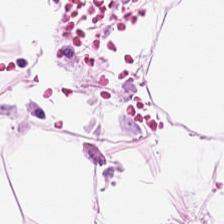H&E-stained tissue section. Whole-slide-image patch. 224×224 pixel tile.
Impression → adipocytes.
